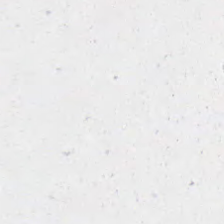Field content = no tissue.
